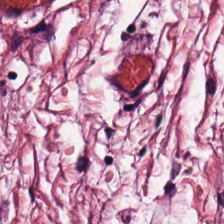Hematoxylin and eosin; FFPE. Classification: cancer-associated stroma.
